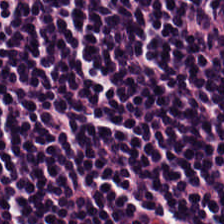0.5 microns per pixel. Hematoxylin-and-eosin stained section. 224×224 px tile. Tissue type — lymphocyte aggregate.
